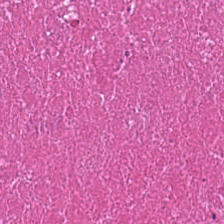H&E; 224×224 px tile; FFPE tissue section. Showing debris.
